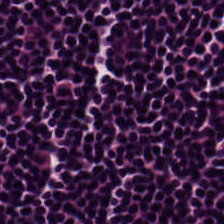Hematoxylin and eosin. The predominant tissue is lymphoid infiltrate.
